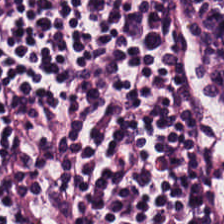Q: What is the predominant tissue type?
A: The field shows lymphocytes.
